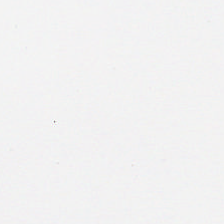Brightfield microscopy · hematoxylin-and-eosin stained section · FFPE tissue section. Q: What is shown in this field?
A: The field shows background.
